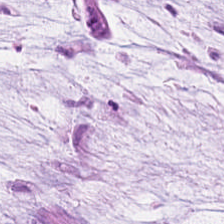Hematoxylin and eosin — Tissue class = extracellular mucin.
